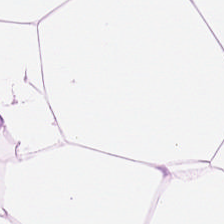H&E-stained tissue section — The predominant tissue is adipose.
